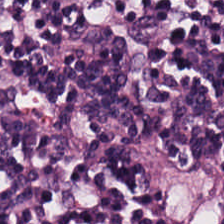Hematoxylin-and-eosin stained section — Showing lymphocyte aggregate.
